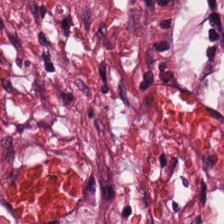H&E-stained tissue section — Impression — tumor-associated stroma.
